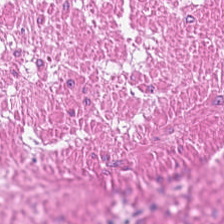Hematoxylin-and-eosin stained section; 20× equivalent magnification. Finding — smooth muscle.
